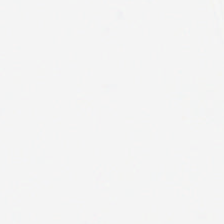Stain: hematoxylin-and-eosin stained section.
Content: empty background.
